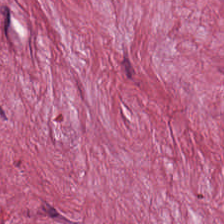Hematoxylin and eosin · brightfield microscopy — The tissue type is desmoplastic stroma.
